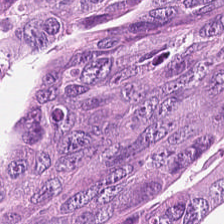H&E stain · 224×224 px patch — The classification is colorectal adenocarcinoma.
